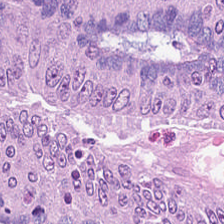Hematoxylin and eosin.
Predominantly malignant epithelium.
